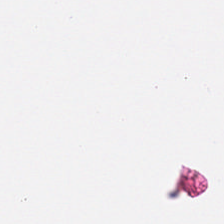Q: What does this patch show?
A: It is empty background.
